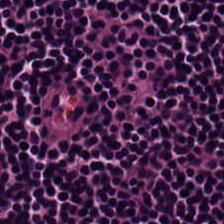0.5 microns per pixel; H&E stain. Predominantly lymphoid infiltrate.
